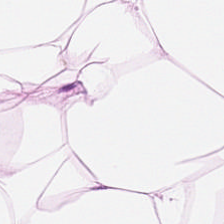H&E-stained tissue section.
Histology — adipose.
